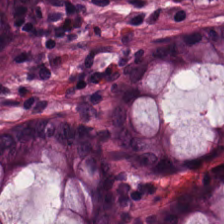FFPE. Hematoxylin and eosin. 224×224 px patch — The tissue class is benign colonic mucosa.
